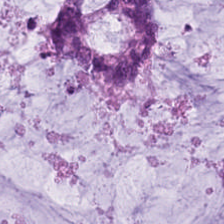Finding — mucus.
